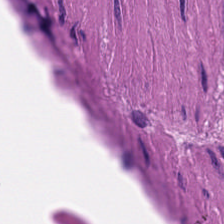Hematoxylin-and-eosin stained section.
Muscularis.
